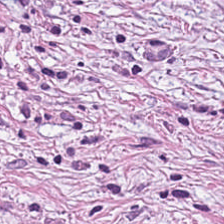H&E stain. Formalin-fixed paraffin-embedded section. Brightfield microscopy. Tumor-associated stroma.
